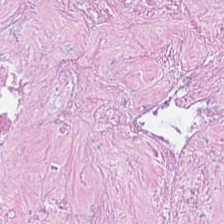224×224 pixel tile. H&E. FFPE tissue section.
The classification is cellular debris.
